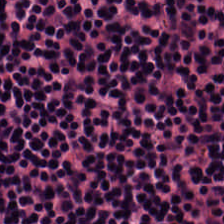0.5 microns per pixel · H&E. Impression → lymphocytic infiltrate.
